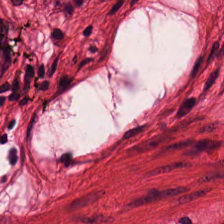0.5 µm/px · H&E · brightfield microscopy.
This field is smooth muscle.
